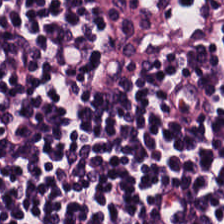Whole-slide-image patch; hematoxylin and eosin; 0.5 µm per pixel — This patch shows lymphocytic infiltrate.
